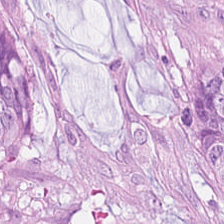H&E-stained tissue section.
Classification — tumor epithelium.
